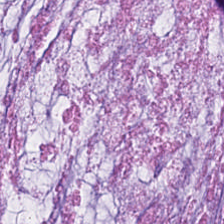Hematoxylin-and-eosin stained section. Whole-slide-image patch.
Tissue — extracellular mucin.
